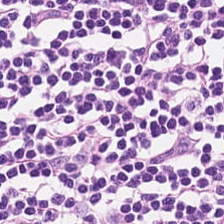H&E — Q: What type of tissue is this?
A: The field shows lymphocytes.
